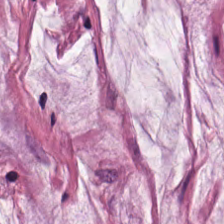H&E stain. Predominantly mucus.
